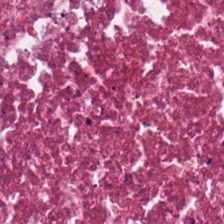H&E-stained tissue section — {"tissue_type": "debris"}
